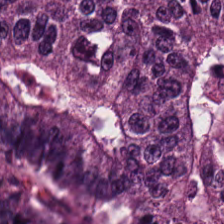H&E-stained tissue section — Histology — malignant epithelium.
